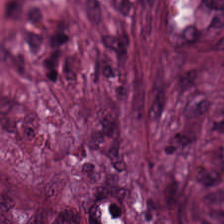H&E-stained tissue section — Q: Classify this patch.
A: It is tumor stroma.
